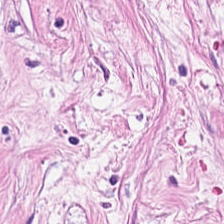This patch shows tumor-associated stroma.
